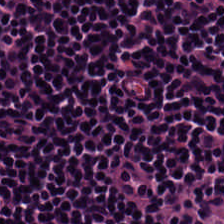H&E-stained tissue section. 0.5 microns per pixel. Brightfield.
The predominant tissue is lymphocytic infiltrate.
